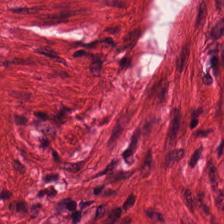H&E stain. Tissue — smooth-muscle tissue.
